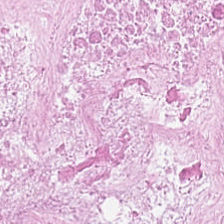WSI patch. Hematoxylin and eosin. 20× equivalent magnification. This field is necrotic debris.
